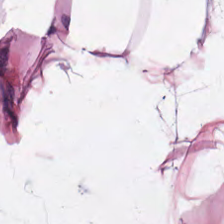0.5 microns per pixel · hematoxylin-and-eosin stained section.
The tissue here is adipose.
